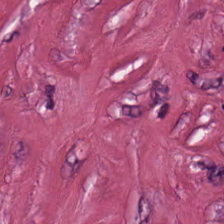Q: Classify this patch.
A: It is cancer-associated stroma.
